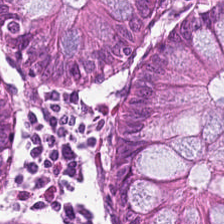Formalin-fixed paraffin-embedded section. Hematoxylin and eosin. Whole-slide-image patch — The predominant tissue is non-neoplastic colon mucosa.
